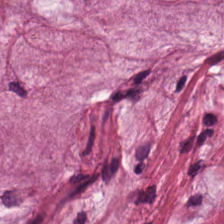Q: What type of tissue is this?
A: Mucus.
